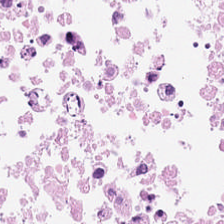Hematoxylin-and-eosin stained section.
Histology — debris.
